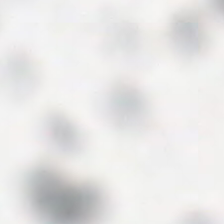H&E stain. Formalin-fixed paraffin-embedded section. Brightfield — Classification: background (no tissue).
